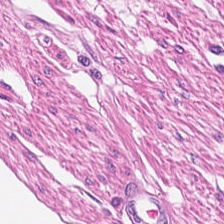Hematoxylin-and-eosin stained section. Predominantly smooth muscle.
